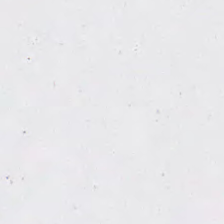Stain: H&E stain.
Preparation: FFPE tissue section.
Field content: empty background.
